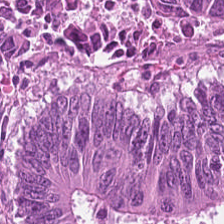H&E-stained tissue section — Showing tumor epithelium.
